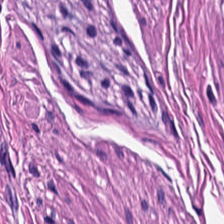This patch shows smooth-muscle tissue.
